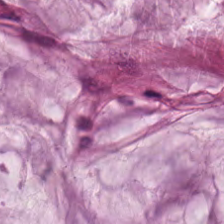Finding → mucus.
